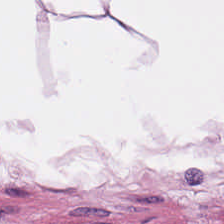H&E; 20× equivalent magnification; 224×224 px tile. {"tissue_type": "adipose tissue"}
